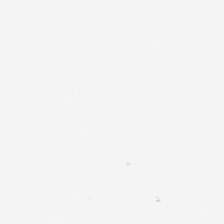Hematoxylin-and-eosin stained section. Q: What is shown here?
A: The field shows empty background.
